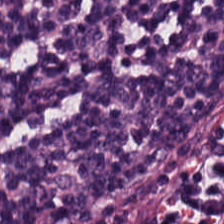H&E — The predominant tissue is lymphocyte aggregate.
